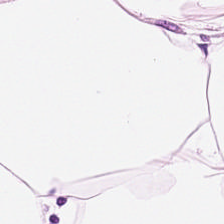Hematoxylin-and-eosin stained section; FFPE.
Tissue type: adipocytes.
